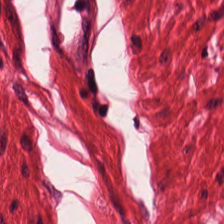224×224 px tile · 20× equivalent magnification · H&E-stained tissue section. Predominant tissue = smooth-muscle tissue.
